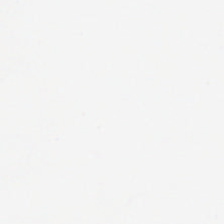This field is background (no tissue).
